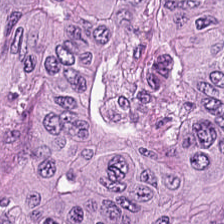Hematoxylin and eosin.
Q: What tissue is shown?
A: Malignant epithelium.
